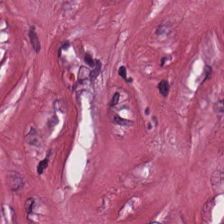Q: What type of tissue is this?
A: Tumor-associated stroma.
